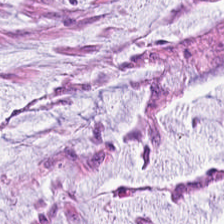FFPE tissue section. H&E. Brightfield. This field is mucus.
